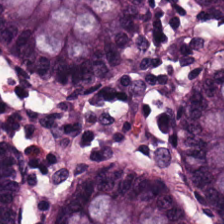Stain: H&E.
Acquisition: whole-slide-image patch.
Predominant tissue: non-neoplastic colon mucosa.
